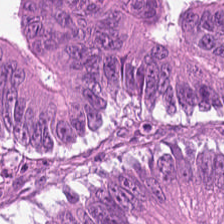Hematoxylin and eosin — Tissue class: colorectal adenocarcinoma.
